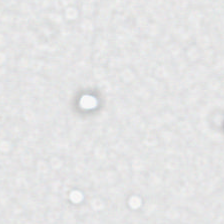H&E-stained tissue section. Empty background.
